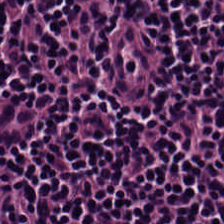H&E stain. {"tissue_type": "lymphocytic infiltrate"}
